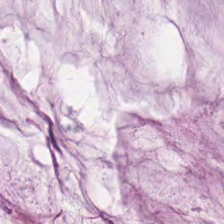H&E — This field is mucin.
